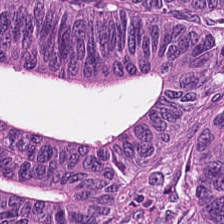H&E-stained tissue section.
Q: What is shown in this field?
A: Adenocarcinoma.
